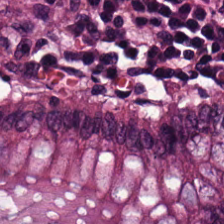H&E-stained tissue section; 0.5 microns per pixel.
Q: What type of tissue is this?
A: The field shows normal colonic mucosa.
